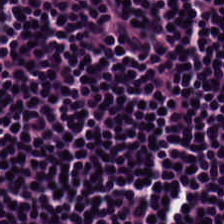H&E. Whole-slide-image patch. {"tissue_type": "lymphoid infiltrate"}
